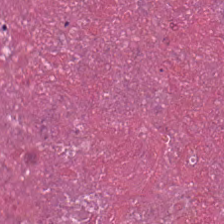Impression — necrotic debris.
